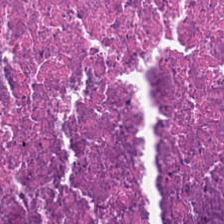H&E-stained tissue section — {"tissue_type": "cellular debris"}
